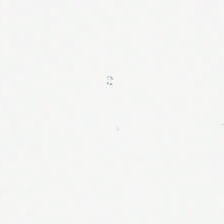Stain: hematoxylin-and-eosin stained section.
Content: background.
